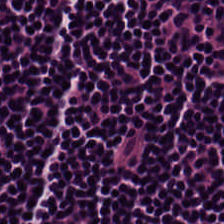FFPE; H&E — {"tissue_type": "lymphocyte aggregate"}
